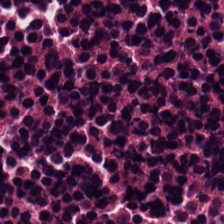Formalin-fixed paraffin-embedded section; 224×224 px patch; H&E. Tissue class: necrotic debris.
